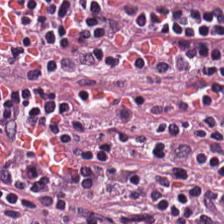Stain: H&E.
Resolution: 20× equivalent magnification.
Classification: lymphocytic infiltrate.
